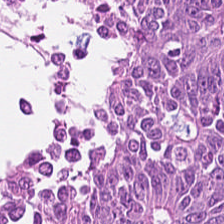H&E. Tissue: tumor epithelium.
